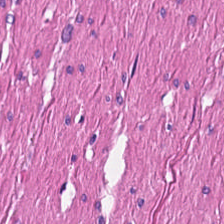Tissue: smooth-muscle tissue.
